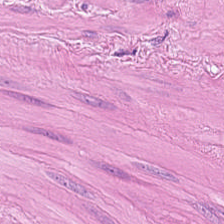Hematoxylin-and-eosin stained section · brightfield microscopy.
{"tissue_type": "muscularis"}
